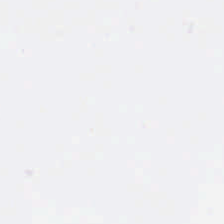H&E stain.
No tissue present; background only.
